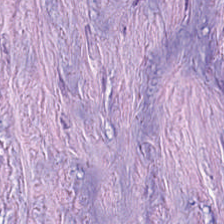Stain: hematoxylin and eosin.
Acquisition: WSI patch.
Predominant tissue: cancer-associated stroma.
